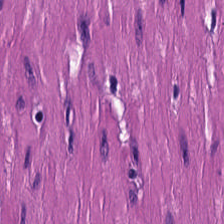Hematoxylin and eosin.
Q: Classify this patch.
A: Smooth-muscle tissue.
